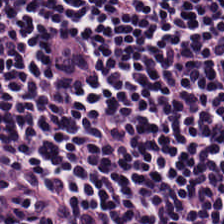Hematoxylin and eosin. {"tissue_type": "lymphoid infiltrate"}
